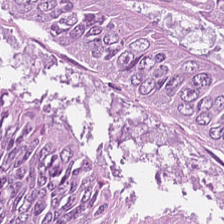0.5 microns per pixel; H&E; FFPE.
This patch shows malignant epithelium.
